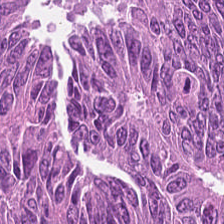Tumor epithelium.
